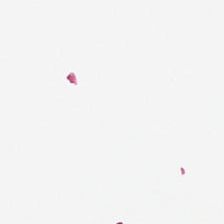WSI patch. Hematoxylin-and-eosin stained section — This field is background (no tissue).
